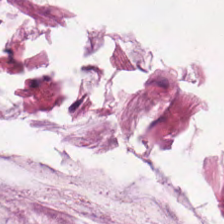H&E.
Q: What tissue is shown?
A: It is extracellular mucin.
